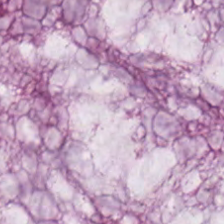H&E.
{"tissue_type": "extracellular mucin"}
